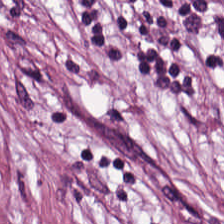Hematoxylin and eosin; formalin-fixed paraffin-embedded section; brightfield. This field is cancer-associated stroma.
